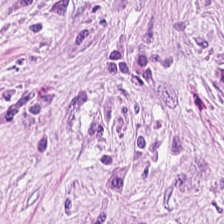0.5 µm/px · FFPE tissue section · H&E stain — Tissue = desmoplastic stroma.
